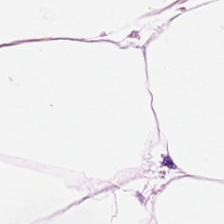Hematoxylin and eosin.
Q: What is the predominant tissue type?
A: This is adipose tissue.
